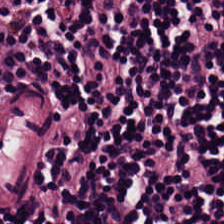H&E-stained tissue section.
Q: What tissue type is shown here?
A: This is lymphoid infiltrate.
